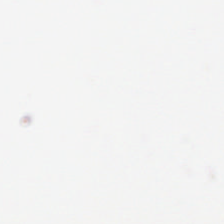FFPE; hematoxylin and eosin; WSI patch.
Classification — no tissue.
